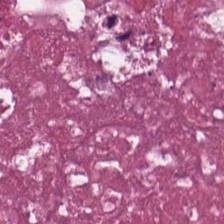Hematoxylin-and-eosin stained section · formalin-fixed paraffin-embedded section · 224×224 px patch. This field is cellular debris.
